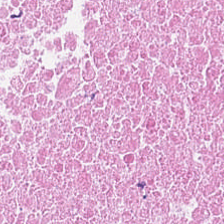Hematoxylin-and-eosin section: debris.
